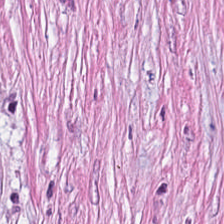Cancer-associated stroma.
